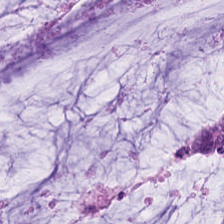H&E-stained tissue section showing mucus.
